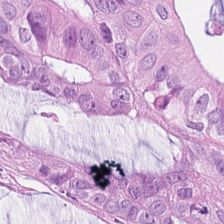Stain: hematoxylin-and-eosin stained section.
Tissue type: colorectal adenocarcinoma.
